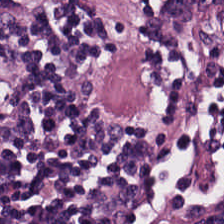Lymphocytic infiltrate.
